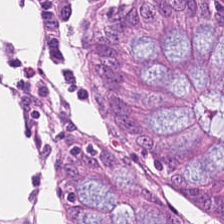The tissue type is non-neoplastic colon mucosa.
